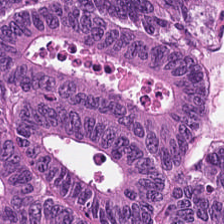Stain: hematoxylin and eosin.
Classification: tumor epithelium.
